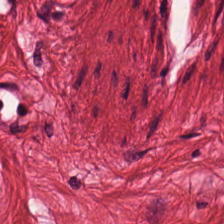Hematoxylin and eosin. Q: What is the predominant tissue type?
A: It is smooth-muscle tissue.
